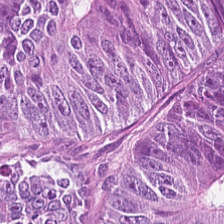FFPE tissue section · H&E-stained tissue section — Finding — colorectal adenocarcinoma epithelium.
